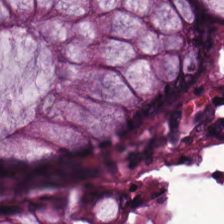Q: What is shown here?
A: The field shows normal colon mucosa.
